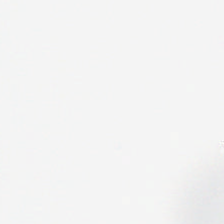H&E stain; formalin-fixed paraffin-embedded section.
Empty background.
